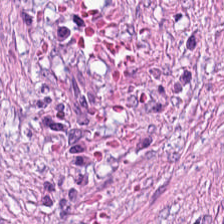224×224 px patch; hematoxylin-and-eosin stained section; WSI patch — Tissue: tumor stroma.
